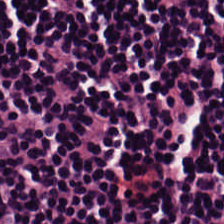H&E-stained section; the field shows lymphocyte aggregate.
